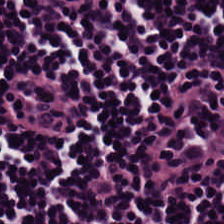Impression → lymphocyte aggregate.
